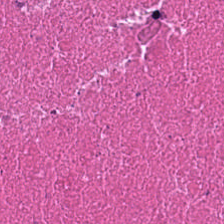Hematoxylin and eosin.
The tissue type is necrotic debris.
